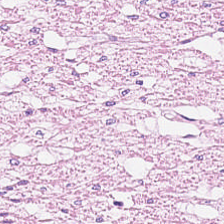0.5 µm per pixel; H&E-stained tissue section — Predominantly smooth-muscle tissue.
